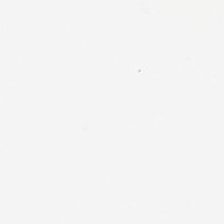Stain: hematoxylin and eosin.
Resolution: 0.5 µm per pixel.
Tile size: 224×224 px patch.
Classification: no tissue.
